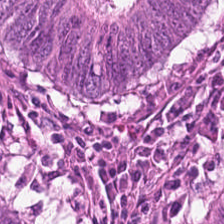H&E.
This patch shows colorectal adenocarcinoma.
